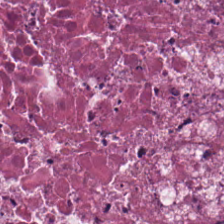20× equivalent magnification. FFPE tissue section. H&E-stained tissue section — Histology → necrotic debris.
